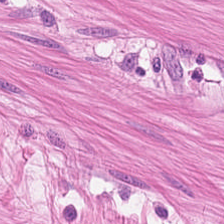Hematoxylin-and-eosin stained section — {"tissue_type": "smooth muscle"}
